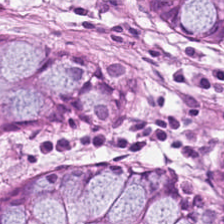WSI patch. 224×224 px patch. H&E stain — Predominantly non-neoplastic colon mucosa.
